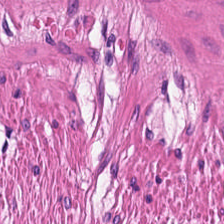H&E stain · whole-slide-image patch.
This patch shows muscularis.
